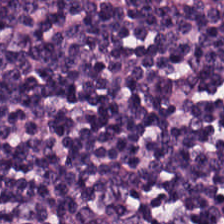{"tissue_type": "lymphoid infiltrate"}
